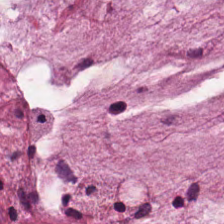The tissue class is mucin.
